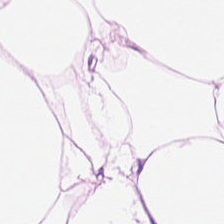H&E patch showing adipocytes.
